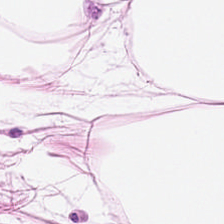Hematoxylin and eosin · 0.5 µm per pixel. Fat tissue.
